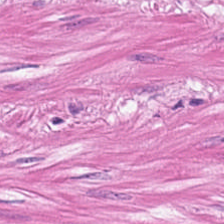Hematoxylin-and-eosin stained section — This patch shows muscularis.
